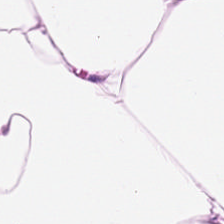H&E stain. Formalin-fixed paraffin-embedded section.
Impression — adipose tissue.
